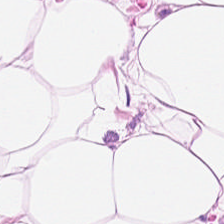Hematoxylin-and-eosin stained section; 0.5 µm/px; formalin-fixed paraffin-embedded section — Finding → adipocytes.
